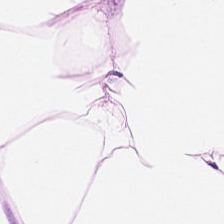Hematoxylin and eosin · brightfield — Q: What is shown in this field?
A: The field shows adipose.
